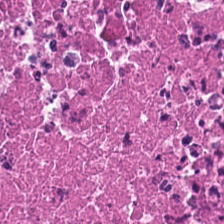H&E-stained tissue section — Finding → debris.
